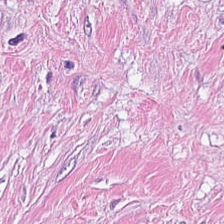Hematoxylin-and-eosin stained section; 0.5 µm/px — The predominant tissue is desmoplastic stroma.
